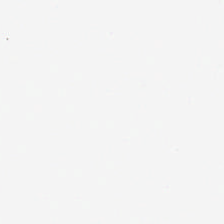Stain: H&E stain.
Acquisition: WSI patch.
Content: background.
